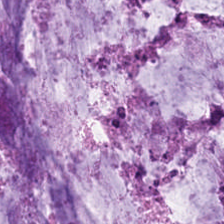Hematoxylin and eosin.
The predominant tissue is extracellular mucin.
